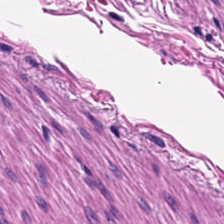H&E-stained tissue section · 224×224 pixel tile — This field is smooth-muscle tissue.
